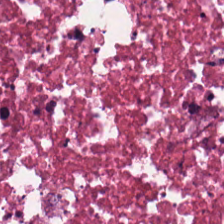H&E stain — This patch shows debris.
